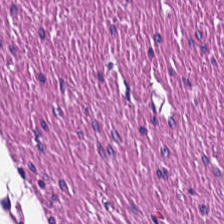H&E — Predominantly smooth muscle.
